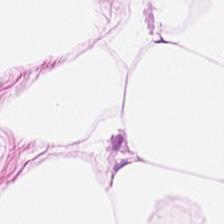Tissue type = adipocytes.
